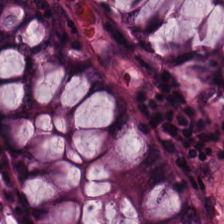Stain: hematoxylin-and-eosin stained section.
Resolution: 0.5 µm/px.
Acquisition: brightfield.
Predominant tissue: non-neoplastic colon mucosa.
